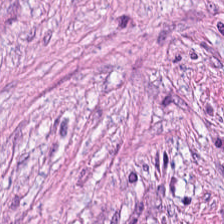H&E. Desmoplastic stroma.
